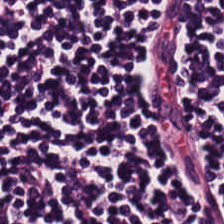0.5 microns per pixel · H&E. Tissue = lymphocyte aggregate.
